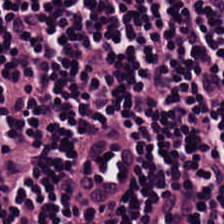0.5 µm/px. Hematoxylin-and-eosin stained section. 224×224 pixel tile. The tissue here is lymphocyte aggregate.
